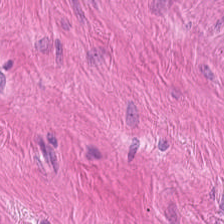Q: What type of tissue is this?
A: The field shows smooth muscle.
